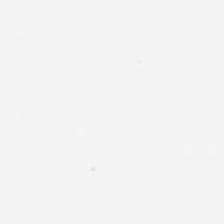H&E stain. This field is background (no tissue).
